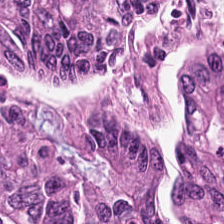Hematoxylin and eosin. WSI patch.
Q: What is shown in this field?
A: It is colorectal adenocarcinoma epithelium.
